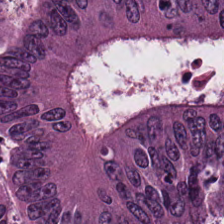224×224 px tile; hematoxylin-and-eosin stained section; WSI patch. Finding — colorectal adenocarcinoma.
